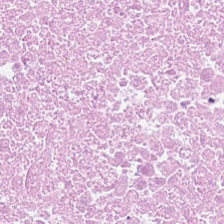FFPE tissue section. H&E-stained tissue section. 20× equivalent magnification.
The predominant tissue is debris.
